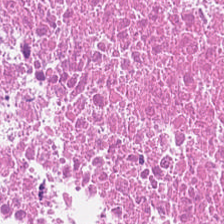Stain: H&E stain.
Classification: debris.
